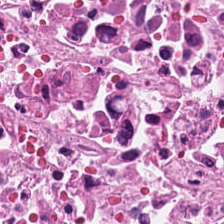Tissue type: cellular debris.
